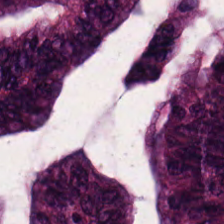H&E stain; 0.5 µm/px — Tissue = adenocarcinoma.
